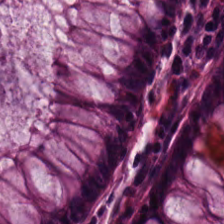224×224 px tile; H&E; FFPE — Impression → normal colon mucosa.
